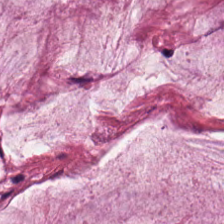H&E-stained tissue section — Classification — mucus.
